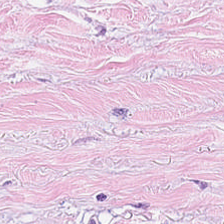H&E stain — Tissue class: cancer-associated stroma.
